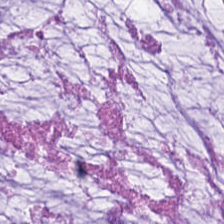H&E.
The tissue here is mucin.
